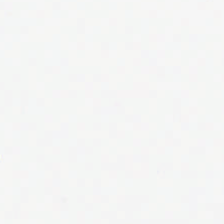This patch shows no tissue.
